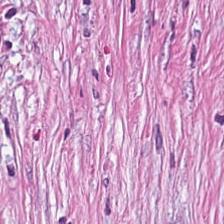Hematoxylin-and-eosin stained section. Tissue type — cancer-associated stroma.
